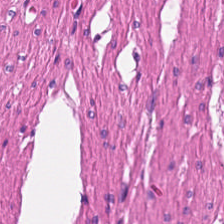Hematoxylin-and-eosin stained section.
Predominantly muscularis.
